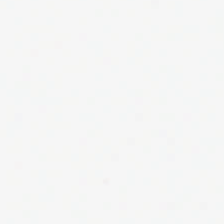Hematoxylin and eosin · formalin-fixed paraffin-embedded section · 20× equivalent magnification — Empty field — background (no tissue).
